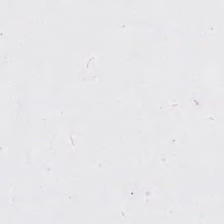No tissue present; background only.
